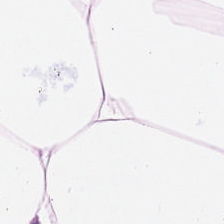H&E stain. This patch shows adipose tissue.
